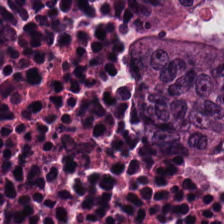224×224 pixel tile · hematoxylin-and-eosin stained section.
Impression — adenocarcinoma.
